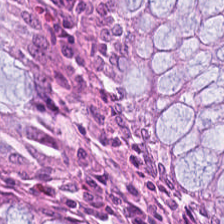Tissue class — normal colonic mucosa.
